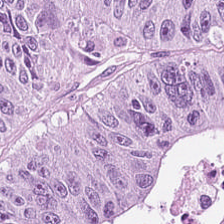224×224 px patch. H&E. Showing malignant epithelium.
